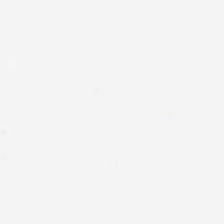H&E. No tissue present; background only.
